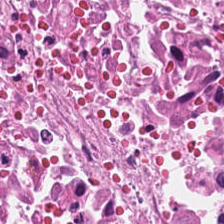Stain: H&E.
Predominant tissue: necrotic debris.
